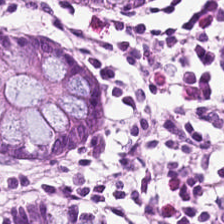Impression → normal colon mucosa.
